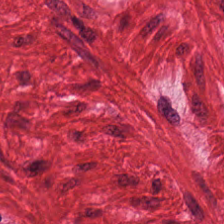H&E-stained tissue section.
Showing muscularis.
